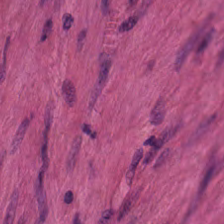Hematoxylin-and-eosin stained section. The predominant tissue is smooth muscle.
